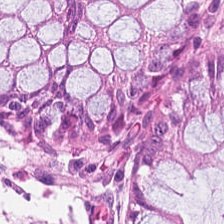This field is non-neoplastic colon mucosa.
